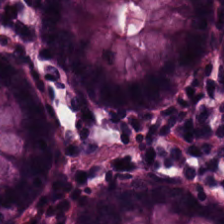The tissue here is benign colonic mucosa.
